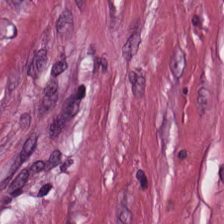H&E — tumor stroma.
